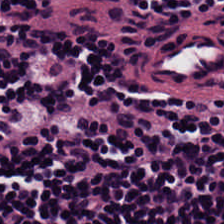Hematoxylin and eosin · whole-slide-image patch.
Predominant tissue: lymphocyte aggregate.
